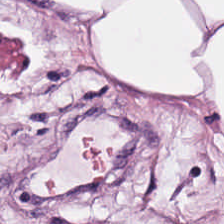H&E stain — This patch shows fat tissue.
